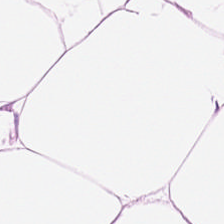H&E-stained tissue section.
Histology — fat tissue.
